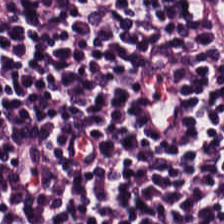Impression → lymphocytes.
